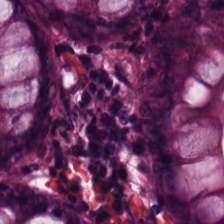H&E-stained tissue section showing non-neoplastic colon mucosa.
